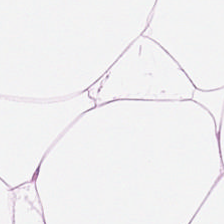H&E.
Impression → adipocytes.
